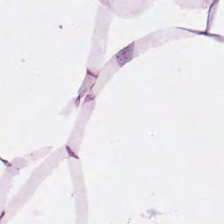H&E-stained tissue section.
Showing adipocytes.
